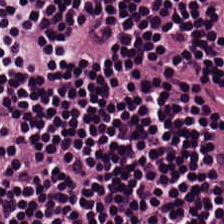Q: What tissue is shown?
A: It is lymphocytic infiltrate.
